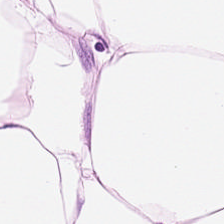Hematoxylin and eosin. Q: Classify this patch.
A: The field shows adipose.
